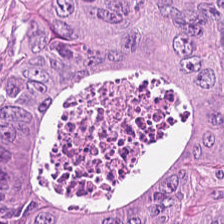Colorectal adenocarcinoma.
